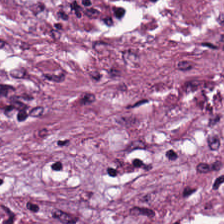H&E-stained tissue section — This field is desmoplastic stroma.
